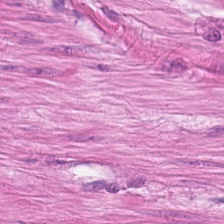This field is muscularis.
